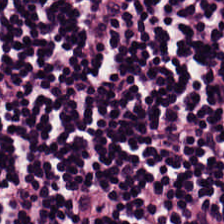H&E-stained tissue section showing lymphocytes.
